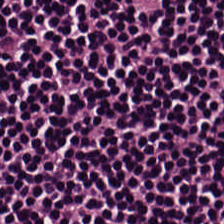Impression — lymphocyte aggregate.
